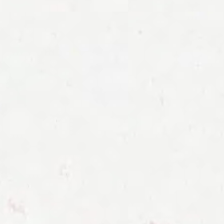Brightfield. Hematoxylin-and-eosin stained section.
The field content is no tissue.
